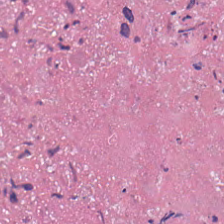0.5 microns per pixel; hematoxylin and eosin. Q: Classify this patch.
A: The field shows debris.
